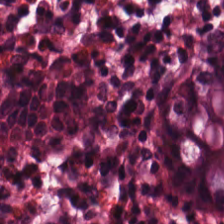Brightfield microscopy; hematoxylin and eosin — Q: What tissue type is shown here?
A: The field shows normal colon mucosa.
